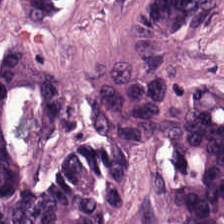Hematoxylin and eosin — This field is adenocarcinoma.
